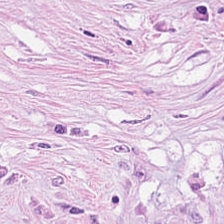{"tissue_type": "tumor-associated stroma"}
